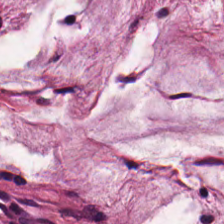Hematoxylin-and-eosin stained section · FFPE · 224×224 px tile.
Tissue class = mucin.
